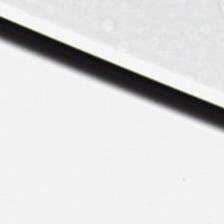H&E stain · FFPE. This patch shows background.
